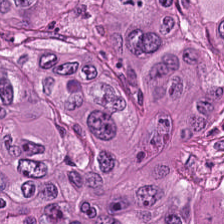The predominant tissue is tumor epithelium.
